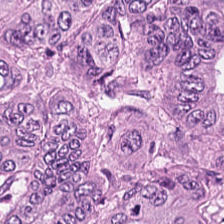Formalin-fixed paraffin-embedded section. H&E stain. 224×224 px patch — Tissue type: malignant epithelium.
